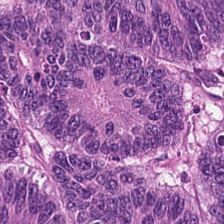H&E stain. 0.5 µm per pixel — Histology — adenocarcinoma.
